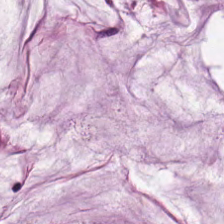H&E stain.
Q: What tissue is shown?
A: It is mucus.
